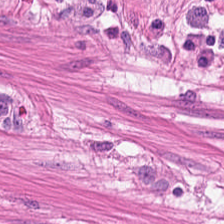Hematoxylin-and-eosin section: smooth-muscle tissue.
